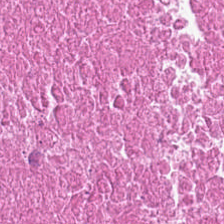224×224 pixel tile; FFPE tissue section; hematoxylin and eosin. Histology → debris.
